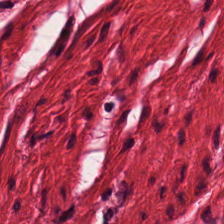Stain: H&E stain.
Preparation: FFPE tissue section.
Acquisition: brightfield.
Tissue: smooth-muscle tissue.
